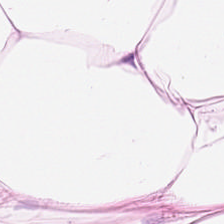224×224 px patch; hematoxylin-and-eosin stained section.
{"tissue_type": "adipose tissue"}
